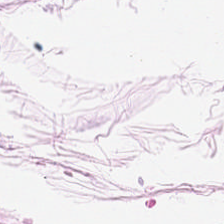Brightfield microscopy · H&E.
Tissue type = fat tissue.
